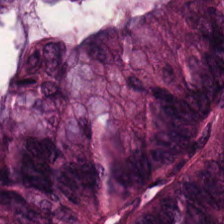Stain: hematoxylin and eosin.
Classification: colorectal adenocarcinoma epithelium.
